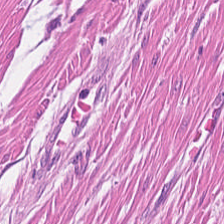H&E-stained tissue section. Classification: smooth-muscle tissue.
